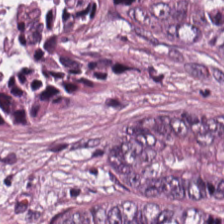Q: What does this patch show?
A: This is adenocarcinoma.
